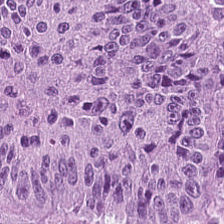Hematoxylin-and-eosin stained section. Q: What is shown here?
A: Colorectal adenocarcinoma.
